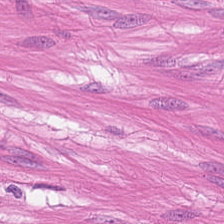Smooth muscle.
